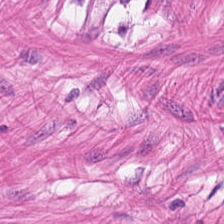H&E stain. Smooth-muscle tissue.
